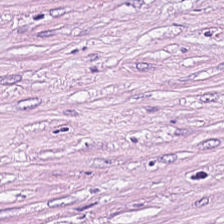Stain: H&E.
Predominant tissue: cancer-associated stroma.
